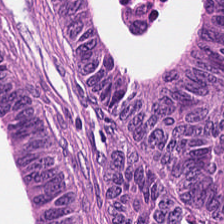H&E. {"tissue_type": "tumor epithelium"}
